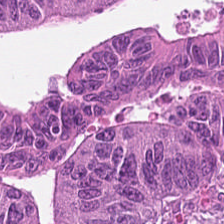Stain: H&E stain.
Classification: malignant epithelium.
